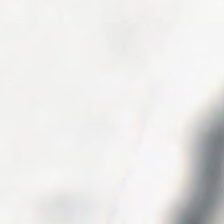H&E stain — Background — no tissue in this field.
